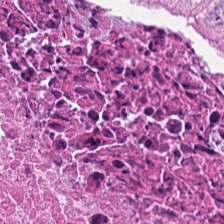H&E-stained tissue section. This patch shows debris.
